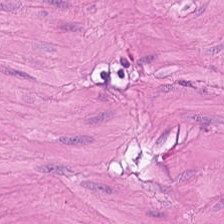Formalin-fixed paraffin-embedded section. H&E — Finding — smooth muscle.
